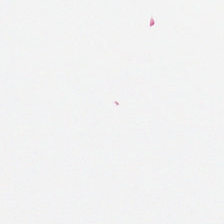H&E — Content — background (no tissue).
